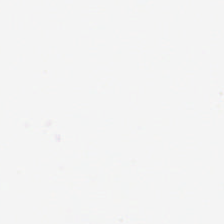Stain: H&E stain.
Field content: no tissue.
